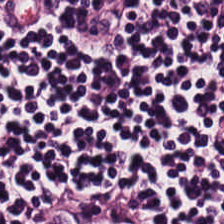Hematoxylin and eosin; 224×224 px tile. Tissue: lymphocytes.
